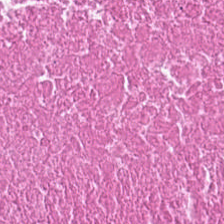H&E. Cellular debris.
